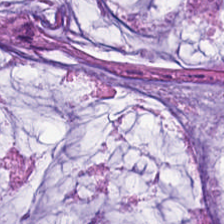H&E — Q: What tissue is shown?
A: The field shows extracellular mucin.
